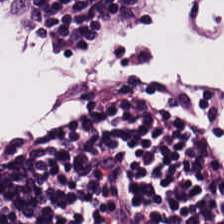H&E-stained tissue section · 224×224 pixel tile · whole-slide-image patch. {"tissue_type": "lymphocyte aggregate"}
